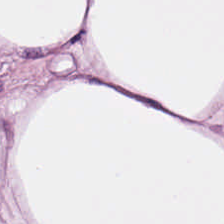This field is adipose tissue.
